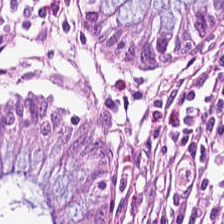Q: What is the predominant tissue type?
A: This is normal colon mucosa.
